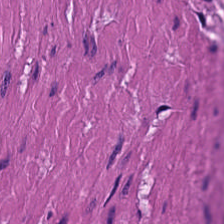Hematoxylin-and-eosin stained section; whole-slide-image patch.
Tissue = smooth-muscle tissue.
